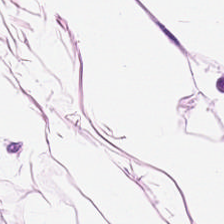H&E-stained section; the field shows adipose.
